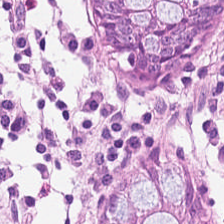H&E. 224×224 px patch.
The tissue class is benign colonic mucosa.
